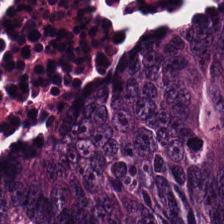H&E stain.
This field is colorectal adenocarcinoma epithelium.
